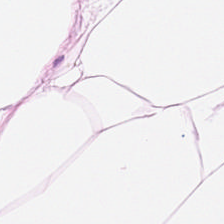H&E-stained section; the field shows adipose tissue.
